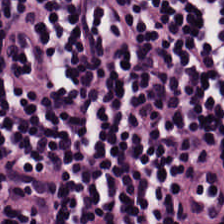0.5 µm per pixel. Hematoxylin and eosin — This patch shows lymphocyte aggregate.
